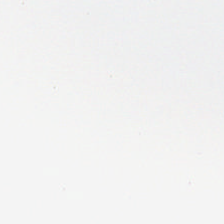H&E stain; WSI patch. Background — no tissue in this field.
